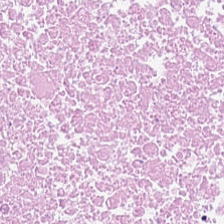Q: Identify the tissue.
A: It is necrotic debris.
